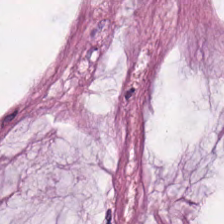Hematoxylin-and-eosin stained section. The tissue is extracellular mucin.
